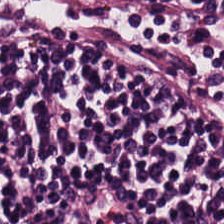0.5 µm/px · hematoxylin and eosin — Showing lymphocyte aggregate.
